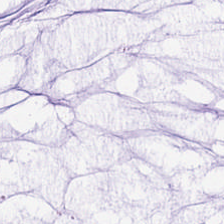Hematoxylin and eosin.
Showing extracellular mucin.
